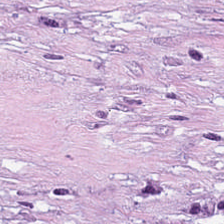Tissue class = tumor stroma.
